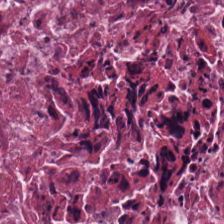H&E. {"tissue_type": "necrotic debris"}
